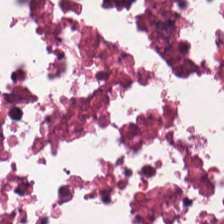Brightfield microscopy · H&E. {"tissue_type": "debris"}
